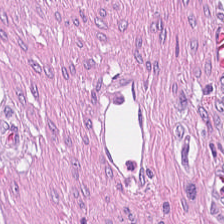Stain: H&E.
Acquisition: brightfield.
Predominant tissue: cancer-associated stroma.
